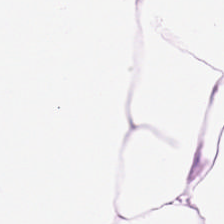0.5 microns per pixel; brightfield; H&E. The predominant tissue is adipose.
